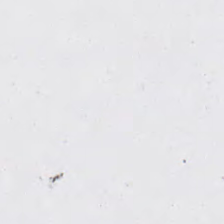Hematoxylin and eosin.
The field content is background.
